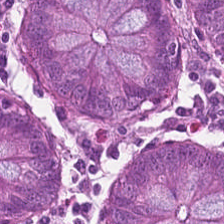Hematoxylin-and-eosin stained section. The tissue here is non-neoplastic colon mucosa.
